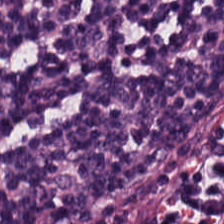Finding → lymphocytic infiltrate.
